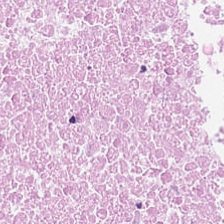H&E — Finding — debris.
